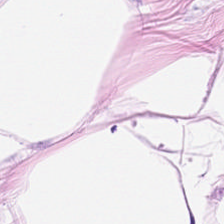Q: What tissue is shown?
A: This is adipocytes.
